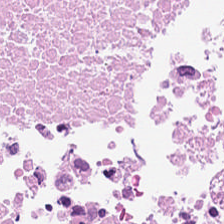Hematoxylin and eosin · 224×224 px patch — Tissue type — necrotic debris.
